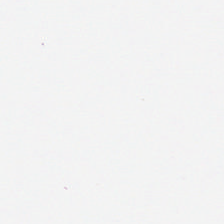Stain: H&E-stained tissue section.
Field content: background.
